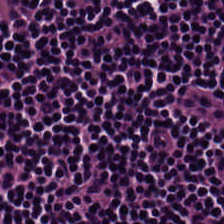H&E. Impression → lymphocytic infiltrate.
